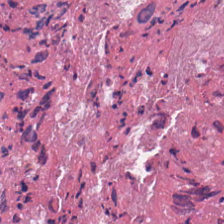Hematoxylin-and-eosin stained section — The tissue here is cellular debris.
